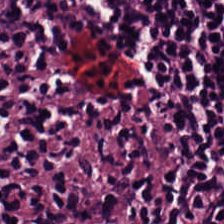Predominant tissue — lymphoid infiltrate.
